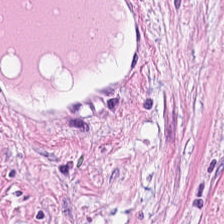Stain: hematoxylin and eosin.
Tissue class: cancer-associated stroma.
